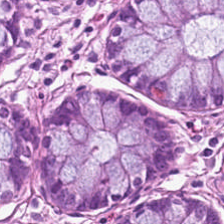Hematoxylin-and-eosin stained section. 224×224 px patch. Q: What is shown in this field?
A: The field shows normal colonic mucosa.
